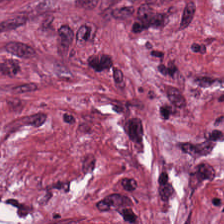Stain: H&E.
Tissue type: cancer-associated stroma.
